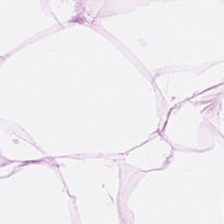20× equivalent magnification; H&E; WSI patch. Q: What type of tissue is this?
A: Adipose.
